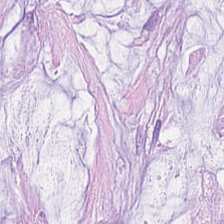Hematoxylin and eosin. The tissue here is mucin.
